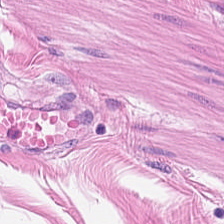H&E — Tissue type = smooth-muscle tissue.
